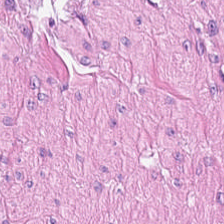Hematoxylin and eosin. Histology → smooth muscle.
